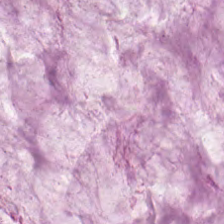Stain: H&E-stained tissue section.
Tissue: extracellular mucin.
